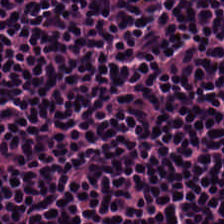Stain: H&E stain.
Predominant tissue: lymphocytes.
